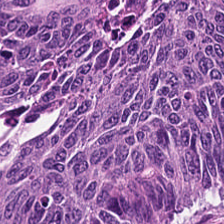FFPE. 224×224 pixel tile. H&E — Classification — malignant epithelium.
